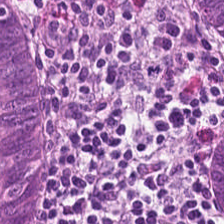H&E-stained tissue section — {"tissue_type": "non-neoplastic colon mucosa"}
